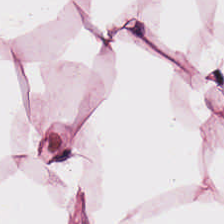H&E.
{"tissue_type": "adipose"}
